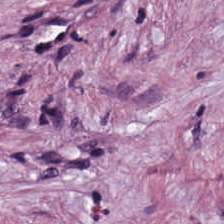Impression — tumor stroma.
